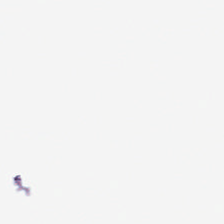FFPE tissue section · hematoxylin and eosin · WSI patch — No tissue present; background only.
